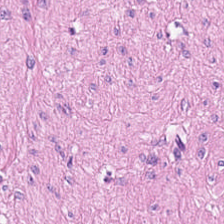Whole-slide-image patch. H&E.
Showing smooth muscle.
